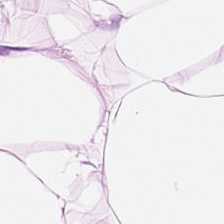Hematoxylin-and-eosin stained section — Histology — adipose.
